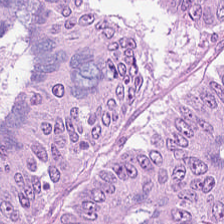Hematoxylin-and-eosin stained section. FFPE. 20× equivalent magnification — Q: What tissue is shown?
A: It is colorectal adenocarcinoma.
